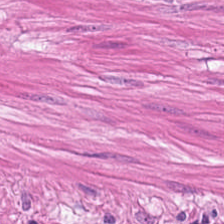Finding — smooth-muscle tissue.
